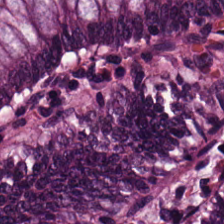Hematoxylin-and-eosin stained section. FFPE. 0.5 µm per pixel. The predominant tissue is normal colonic mucosa.
